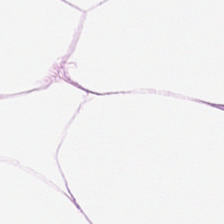This field is adipose tissue.
